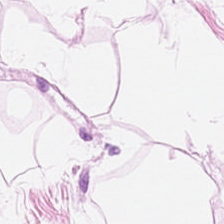{"tissue_type": "adipose"}
